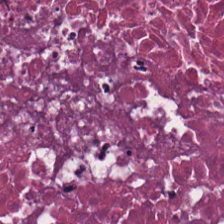Hematoxylin and eosin.
Predominant tissue: necrotic debris.
